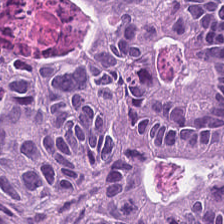Whole-slide-image patch · H&E stain · FFPE — Tissue: colorectal adenocarcinoma epithelium.
